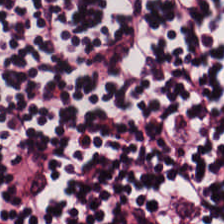The predominant tissue is lymphocytic infiltrate.
